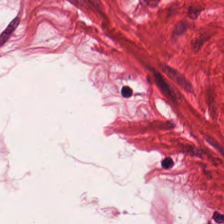H&E-stained tissue section.
Smooth-muscle tissue.
